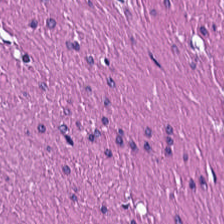Stain: H&E stain.
Tissue type: smooth muscle.
